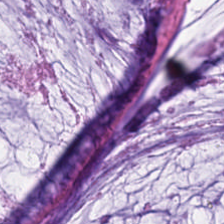WSI patch. H&E. Formalin-fixed paraffin-embedded section.
The predominant tissue is extracellular mucin.
